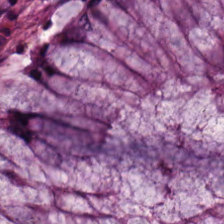H&E-stained tissue section.
Q: Identify the tissue.
A: The field shows benign colonic mucosa.
